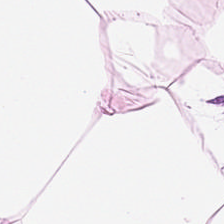Q: What type of tissue is this?
A: The field shows adipose.
